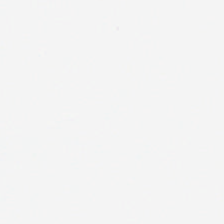Stain: H&E-stained tissue section.
Tile size: 224×224 pixel tile.
Preparation: FFPE tissue section.
Content: background.
